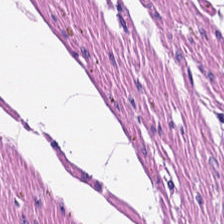20× equivalent magnification; H&E. Q: What is shown here?
A: It is muscularis.
